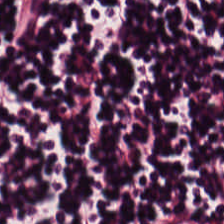224×224 pixel tile · H&E · WSI patch.
Tissue class: lymphocyte aggregate.
